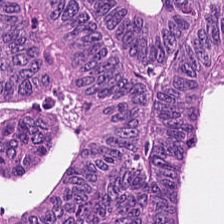20× equivalent magnification; H&E stain; whole-slide-image patch. Tissue type = malignant epithelium.
